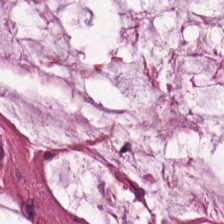Showing mucus.
